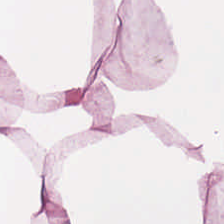H&E patch showing adipocytes.
